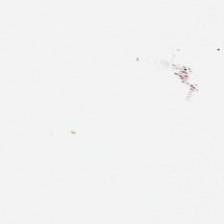0.5 µm per pixel · hematoxylin and eosin — Field content: background.
